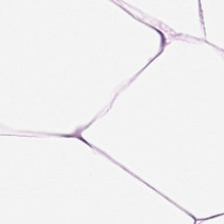224×224 pixel tile; H&E-stained tissue section — Tissue: fat tissue.
